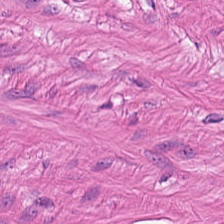224×224 px patch. 0.5 µm/px. Hematoxylin-and-eosin stained section.
The predominant tissue is muscularis.
